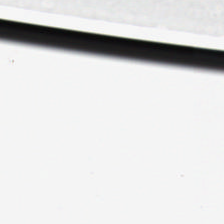224×224 pixel tile. H&E stain — Q: What is shown in this field?
A: It is no tissue.
